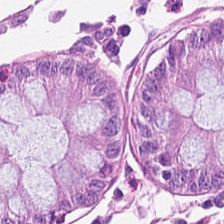0.5 µm per pixel; hematoxylin-and-eosin stained section; formalin-fixed paraffin-embedded section — Tissue type = benign colonic mucosa.
